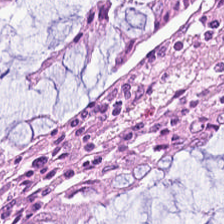H&E · FFPE tissue section — Benign colonic mucosa.
